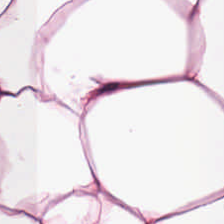H&E stain; 224×224 px tile — Finding — adipocytes.
